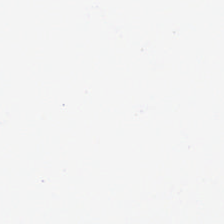Empty field — background (no tissue).
